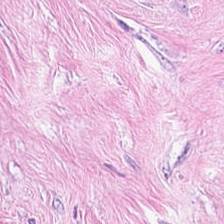H&E-stained tissue section. Formalin-fixed paraffin-embedded section. 0.5 microns per pixel. The predominant tissue is tumor-associated stroma.
